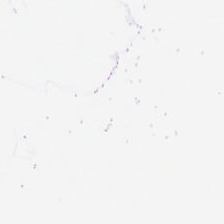H&E · 20× equivalent magnification — Q: What is shown here?
A: This is empty background.
